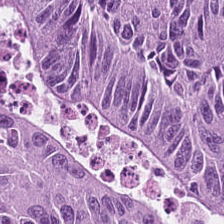FFPE tissue section · hematoxylin-and-eosin stained section — Predominant tissue — colorectal adenocarcinoma epithelium.
